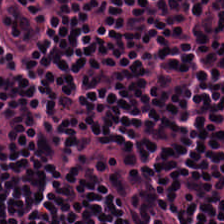Q: What does this patch show?
A: Lymphocytes.
